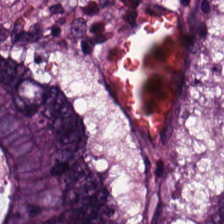Predominantly colorectal adenocarcinoma.
